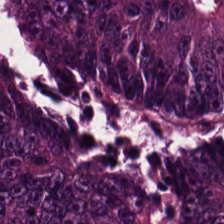H&E-stained tissue section.
Q: What is shown here?
A: The field shows adenocarcinoma.
